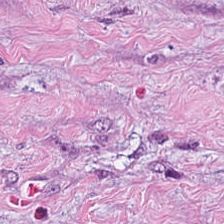Stain: H&E stain.
Classification: cancer-associated stroma.
